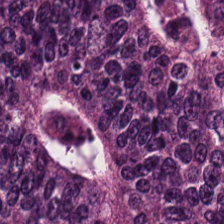Stain: H&E.
Resolution: 0.5 µm per pixel.
Tissue class: adenocarcinoma.
